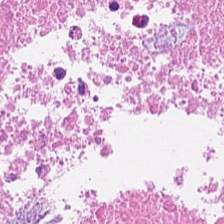The tissue here is debris.
